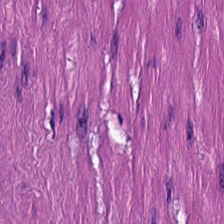224×224 pixel tile · H&E.
Finding — muscularis.
